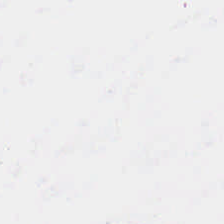Hematoxylin-and-eosin stained section · FFPE tissue section.
Content — no tissue.
